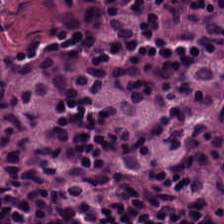224×224 px tile; WSI patch; H&E — Q: What tissue is shown?
A: The field shows lymphocytic infiltrate.
